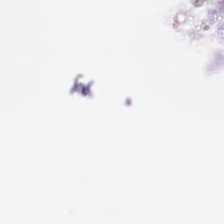H&E stain; formalin-fixed paraffin-embedded section. This field is background (no tissue).
